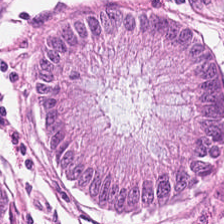H&E.
This patch shows normal colon mucosa.
